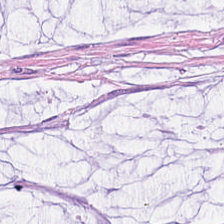H&E — The tissue type is extracellular mucin.
